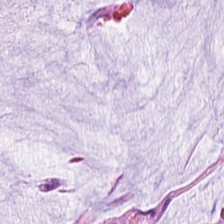WSI patch · H&E stain.
{"tissue_type": "mucus"}
